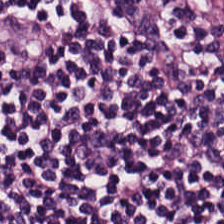Impression → lymphocytic infiltrate.
